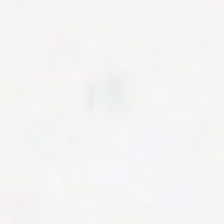H&E-stained tissue section — The content is no tissue.
